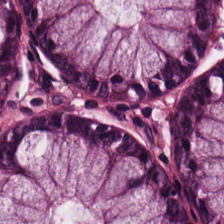224×224 px tile · H&E · whole-slide-image patch.
Q: What tissue is shown?
A: The field shows normal colon mucosa.
